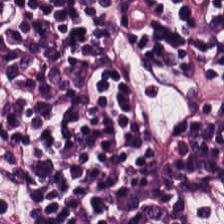Formalin-fixed paraffin-embedded section; H&E stain. Q: What is shown in this field?
A: It is lymphocytes.
